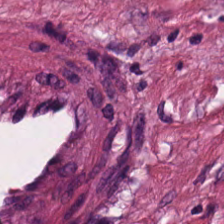Formalin-fixed paraffin-embedded section. Hematoxylin and eosin — The predominant tissue is tumor-associated stroma.
